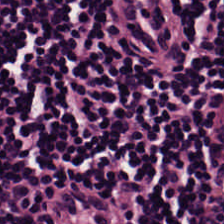Stain: H&E stain.
Resolution: 0.5 µm/px.
Predominant tissue: lymphocytic infiltrate.
